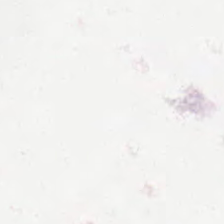224×224 px tile. Brightfield. Hematoxylin-and-eosin stained section — Histology — background.
